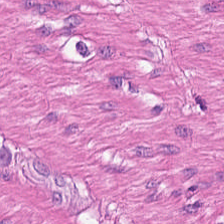Stain: hematoxylin-and-eosin stained section.
Tissue class: smooth-muscle tissue.
